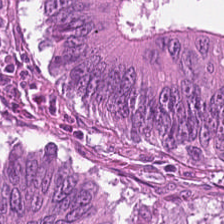H&E — Showing colorectal adenocarcinoma epithelium.
